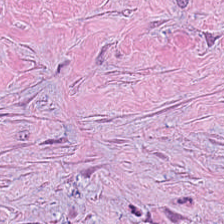Stain: H&E stain.
Tissue type: cancer-associated stroma.
